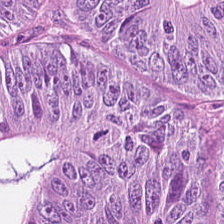Showing tumor epithelium.
